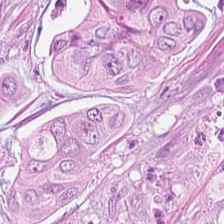Stain: H&E.
Tissue: adenocarcinoma.
